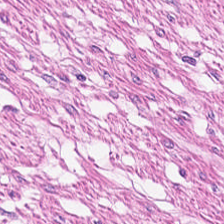Histology — smooth muscle.
